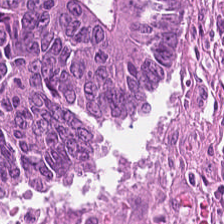H&E stain.
Classification = colorectal adenocarcinoma epithelium.
